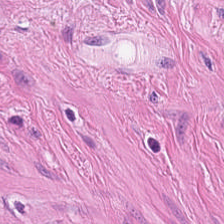Hematoxylin and eosin — Tissue = smooth-muscle tissue.
